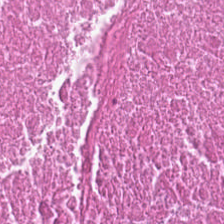H&E-stained tissue section. The tissue here is cellular debris.
